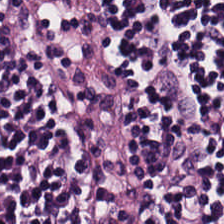Hematoxylin and eosin. 224×224 px tile. FFPE tissue section.
The tissue is lymphoid infiltrate.
